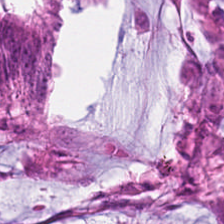224×224 px tile. Hematoxylin-and-eosin stained section. Brightfield microscopy.
This field is malignant epithelium.
